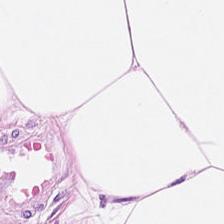20× equivalent magnification · H&E-stained tissue section — This patch shows adipose tissue.
